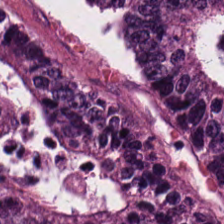The classification is tumor epithelium.
